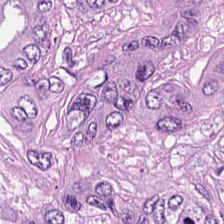Hematoxylin-and-eosin stained section.
Predominant tissue — tumor epithelium.
